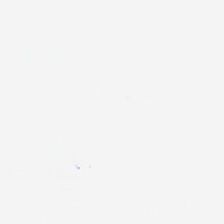H&E-stained tissue section · 224×224 px patch · 0.5 microns per pixel. Field content — no tissue.
